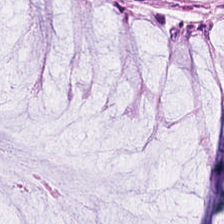H&E. The classification is normal colonic mucosa.
